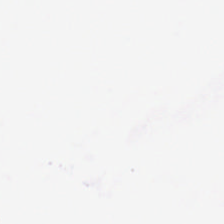Field content — background.
